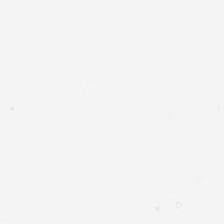FFPE tissue section. Hematoxylin and eosin. Histology → empty background.
